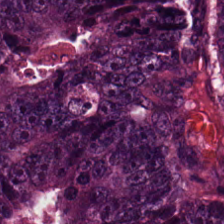Hematoxylin-and-eosin stained section. This field is colorectal adenocarcinoma epithelium.
